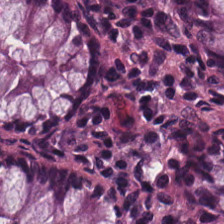20× equivalent magnification; H&E. Tissue — benign colonic mucosa.
